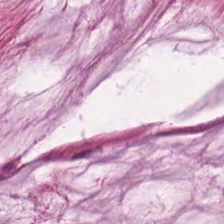H&E-stained tissue section — Predominant tissue = extracellular mucin.
